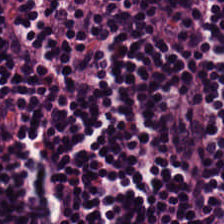H&E.
Lymphoid infiltrate.
